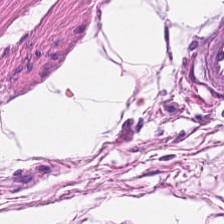H&E. Histology — smooth muscle.
